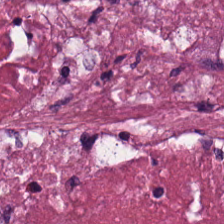Q: What type of tissue is this?
A: It is debris.
